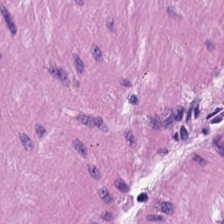H&E. 20× equivalent magnification — Histology → smooth muscle.
